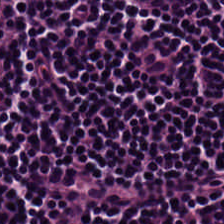H&E-stained tissue section.
The predominant tissue is lymphocytic infiltrate.
